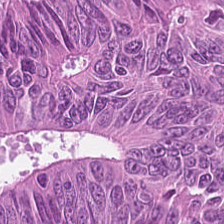Stain: H&E.
Predominant tissue: tumor epithelium.
